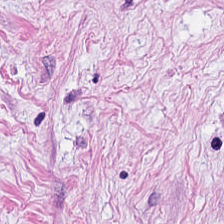Formalin-fixed paraffin-embedded section. Hematoxylin-and-eosin stained section. The tissue here is tumor stroma.
